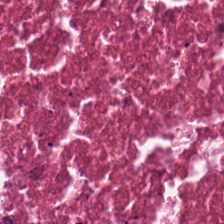This patch shows debris.
